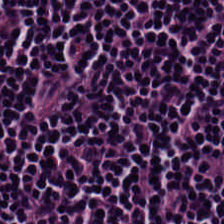Hematoxylin-and-eosin stained section. This field is lymphocytes.
